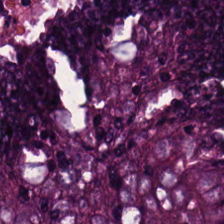Predominantly adenocarcinoma.
